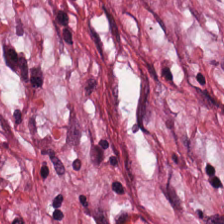Brightfield microscopy · 224×224 px tile · hematoxylin-and-eosin stained section. The predominant tissue is desmoplastic stroma.
